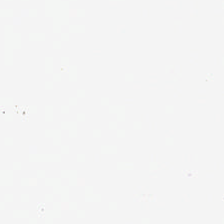H&E-stained tissue section. Background — no tissue in this field.
